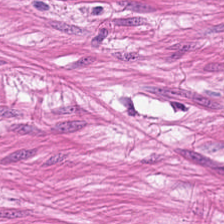H&E — The predominant tissue is muscularis.
